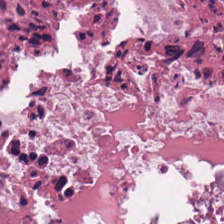Hematoxylin-and-eosin stained section · formalin-fixed paraffin-embedded section · 0.5 microns per pixel — Classification — necrotic debris.
